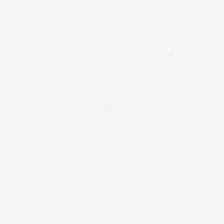Hematoxylin-and-eosin stained section. Brightfield.
Background (no tissue).
